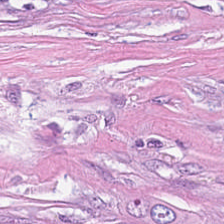H&E stain; FFPE — Finding — desmoplastic stroma.
